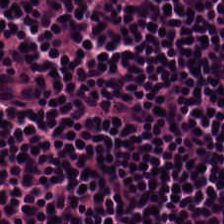Stain: H&E stain.
Predominant tissue: lymphoid infiltrate.
